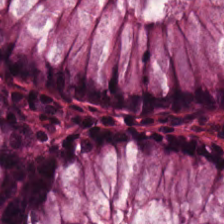H&E; formalin-fixed paraffin-embedded section; brightfield microscopy — {"tissue_type": "normal colon mucosa"}
